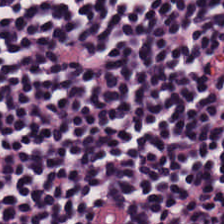Brightfield microscopy. H&E stain. 0.5 microns per pixel. This field is lymphocyte aggregate.
